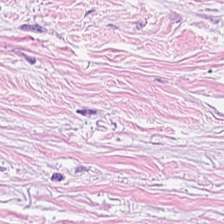{"tissue_type": "cancer-associated stroma"}
